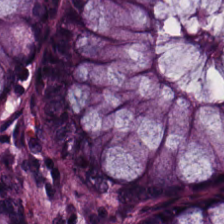Hematoxylin-and-eosin stained section. Whole-slide-image patch. 0.5 µm per pixel.
Predominantly normal colonic mucosa.
